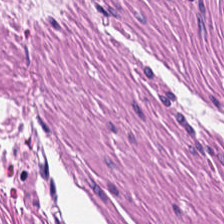H&E-stained tissue section — This field is smooth muscle.
